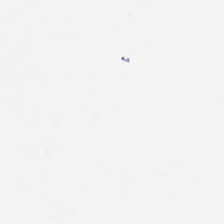Whole-slide-image patch · hematoxylin-and-eosin stained section · FFPE tissue section.
{"content": "background"}
